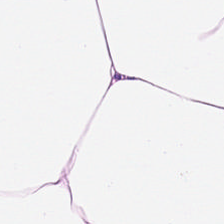20× equivalent magnification · H&E · 224×224 px tile — This patch shows fat tissue.
